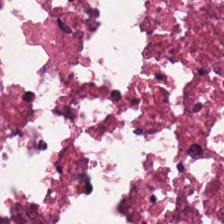H&E-stained tissue section. {"tissue_type": "cellular debris"}
